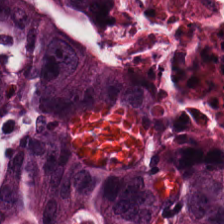Whole-slide-image patch · H&E-stained tissue section. The predominant tissue is colorectal adenocarcinoma epithelium.
